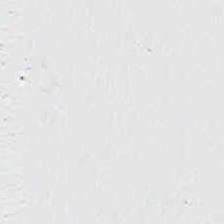H&E — Empty background.
